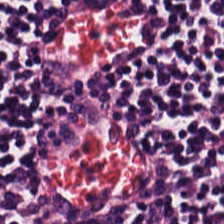H&E.
This field is lymphocyte aggregate.
